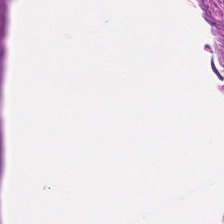H&E — smooth muscle.
